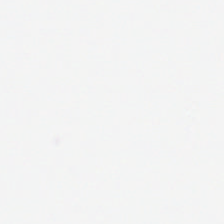H&E.
No tissue present; background only.
